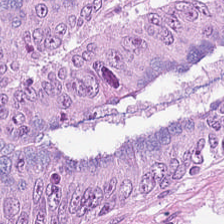Formalin-fixed paraffin-embedded section. Whole-slide-image patch. Hematoxylin-and-eosin stained section.
{"tissue_type": "adenocarcinoma"}
